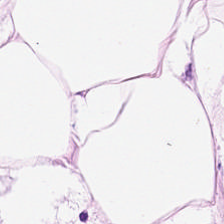H&E stain.
Q: What tissue is shown?
A: Adipocytes.
